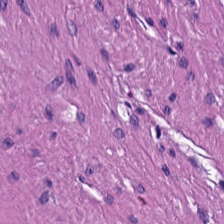H&E-stained tissue section.
Histology — smooth muscle.
